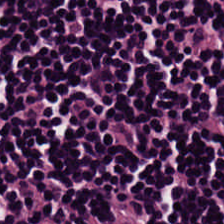Whole-slide-image patch; hematoxylin and eosin.
Q: What is the predominant tissue type?
A: The field shows lymphocytic infiltrate.
